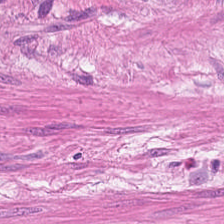H&E — muscularis.
